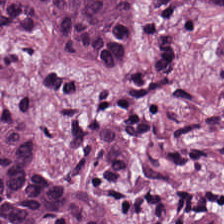Formalin-fixed paraffin-embedded section; H&E-stained tissue section; 0.5 microns per pixel.
Tissue class: malignant epithelium.
